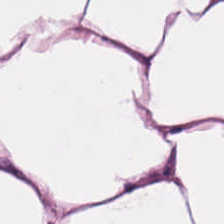Hematoxylin-and-eosin stained section; formalin-fixed paraffin-embedded section. Finding — fat tissue.
